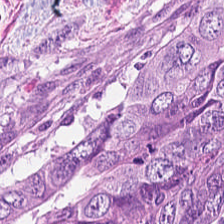H&E-stained tissue section — Q: What tissue type is shown here?
A: The field shows colorectal adenocarcinoma epithelium.
